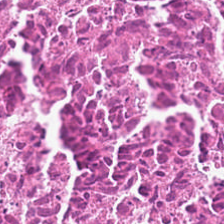Q: What does this patch show?
A: The field shows debris.
